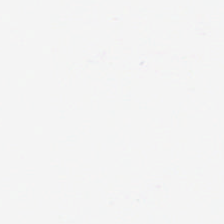Histology — background.
